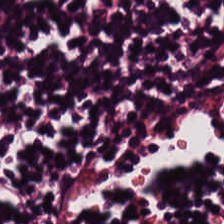Whole-slide-image patch. H&E stain — Predominant tissue: lymphocytes.
